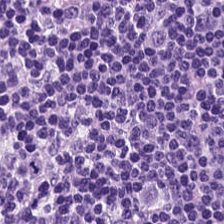Tissue = lymphocytic infiltrate.
